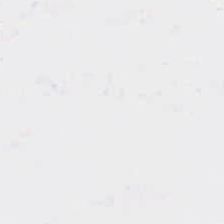Hematoxylin and eosin.
Impression — background.
